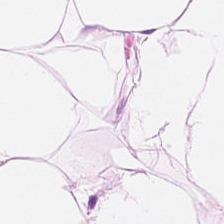Hematoxylin and eosin. FFPE tissue section — {"tissue_type": "adipose tissue"}
